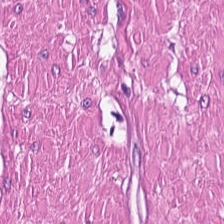H&E patch showing smooth muscle.
